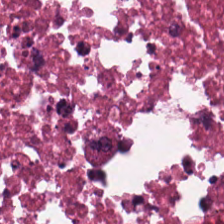The predominant tissue is debris.
